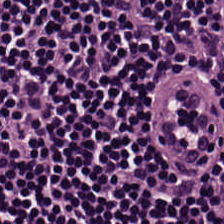Histology — lymphocytes.
